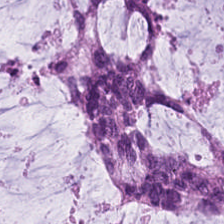Stain: hematoxylin-and-eosin stained section.
Tissue class: extracellular mucin.
